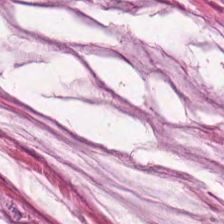Stain: H&E stain.
Resolution: 20× equivalent magnification.
Acquisition: whole-slide-image patch.
Predominant tissue: mucus.
